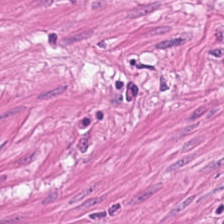Histology — smooth muscle.
